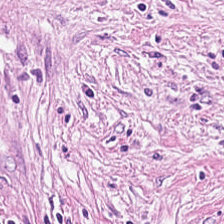Tissue class = tumor stroma.
